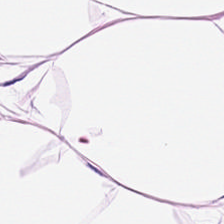H&E. Brightfield microscopy — Predominant tissue = adipocytes.
